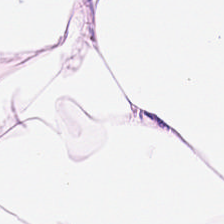{"tissue_type": "adipose"}
